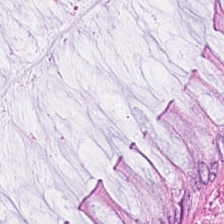H&E stain.
This field is normal colonic mucosa.
